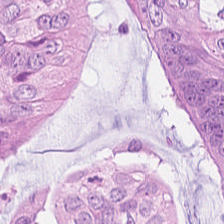Stain: H&E-stained tissue section.
Tile size: 224×224 pixel tile.
Tissue type: malignant epithelium.
